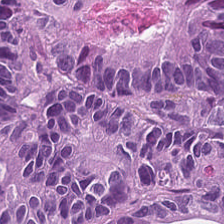Q: What is shown here?
A: It is tumor epithelium.
